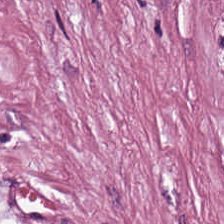Stain: H&E.
Preparation: FFPE.
Resolution: 20× equivalent magnification.
Tissue class: tumor stroma.
